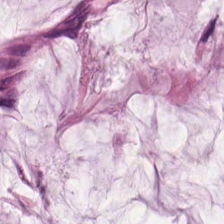Hematoxylin and eosin. The tissue here is mucus.
